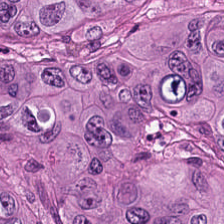H&E stain. {"tissue_type": "colorectal adenocarcinoma epithelium"}
